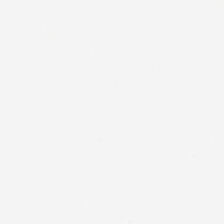Hematoxylin-and-eosin stained section; 224×224 px patch.
Content — no tissue.
